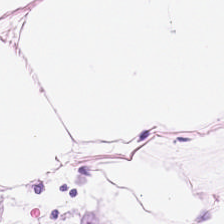Whole-slide-image patch. H&E stain.
Predominantly adipose tissue.
